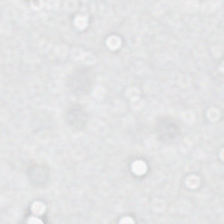H&E.
This field is background (no tissue).
